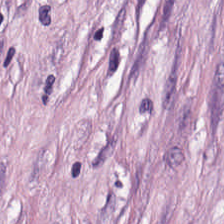H&E — The tissue here is tumor-associated stroma.
